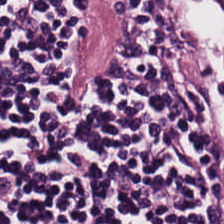H&E · WSI patch — Classification — lymphocytes.
